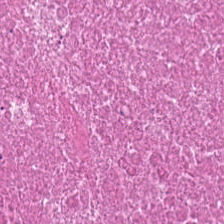H&E; 0.5 µm/px — Q: What is the predominant tissue type?
A: Debris.
